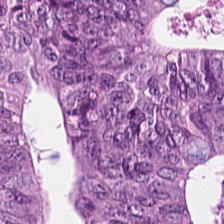H&E stain · 0.5 microns per pixel. This field is malignant epithelium.
